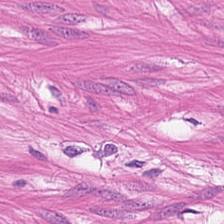H&E; 0.5 microns per pixel; formalin-fixed paraffin-embedded section. Predominantly smooth muscle.
